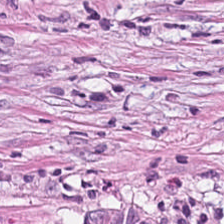H&E. 0.5 µm per pixel.
Cancer-associated stroma.
